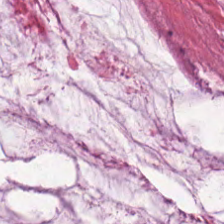H&E · 0.5 µm/px. Q: What type of tissue is this?
A: The field shows mucus.
